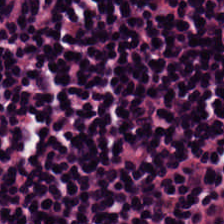H&E patch showing lymphocyte aggregate.
